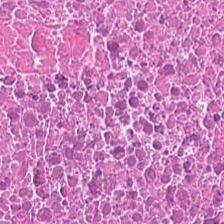0.5 microns per pixel. H&E. Whole-slide-image patch — Tissue type: cellular debris.
